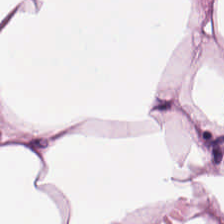Hematoxylin and eosin — Finding → fat tissue.
